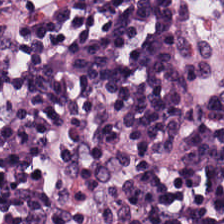The tissue is lymphocytic infiltrate.
